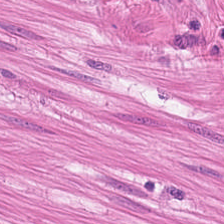H&E stain. This patch shows muscularis.
